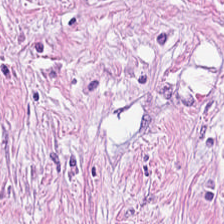Stain: hematoxylin and eosin.
Tissue type: desmoplastic stroma.
